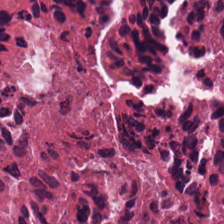224×224 px tile. Hematoxylin and eosin. 0.5 microns per pixel. Predominant tissue = cellular debris.
